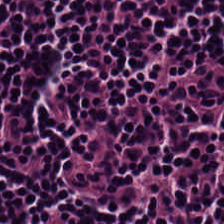FFPE tissue section · hematoxylin-and-eosin stained section.
Tissue — lymphocytes.
